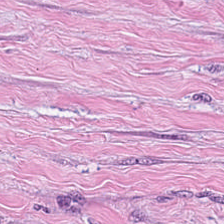Stain: H&E.
Predominant tissue: cancer-associated stroma.
